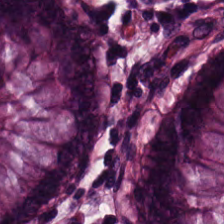Hematoxylin-and-eosin stained section. Normal colonic mucosa.
